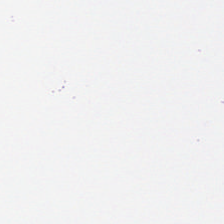Stain: hematoxylin-and-eosin stained section.
Content: background (no tissue).
